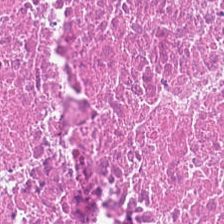Hematoxylin and eosin.
The predominant tissue is necrotic debris.
